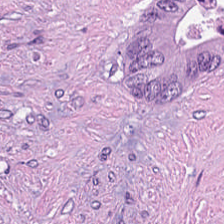H&E-stained tissue section · brightfield · formalin-fixed paraffin-embedded section — This patch shows debris.
